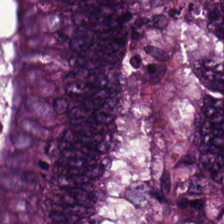Hematoxylin-and-eosin stained section.
Q: Identify the tissue.
A: The field shows tumor epithelium.
